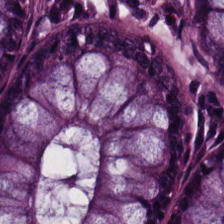Whole-slide-image patch. H&E stain.
Finding → non-neoplastic colon mucosa.
